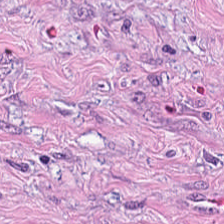H&E stain. 20× equivalent magnification.
The tissue here is tumor-associated stroma.
